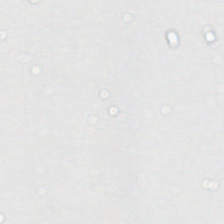Hematoxylin and eosin.
The field content is empty background.
